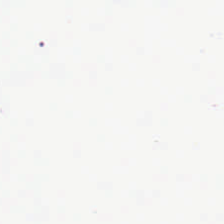Formalin-fixed paraffin-embedded section. WSI patch. H&E stain — {"content": "no tissue"}
